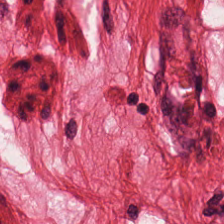H&E. This field is smooth-muscle tissue.
